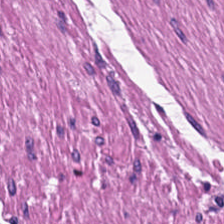H&E — smooth-muscle tissue.
